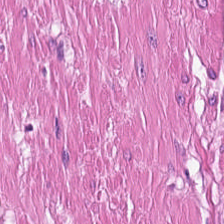Hematoxylin and eosin. This patch shows muscularis.
